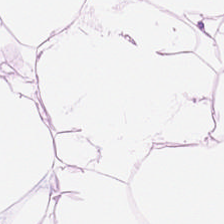Hematoxylin-and-eosin stained section.
The classification is fat tissue.
